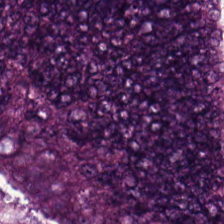Q: What tissue type is shown here?
A: The field shows colorectal adenocarcinoma.
